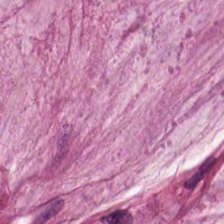H&E-stained tissue section. Tissue class = mucus.
